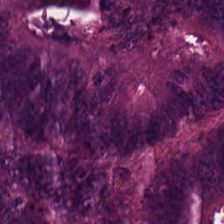H&E-stained tissue section; brightfield microscopy; 0.5 µm/px. Showing malignant epithelium.
